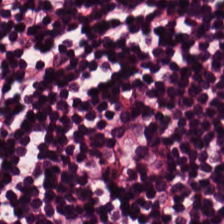H&E stain. Tissue type = lymphocytes.
